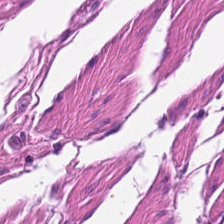Showing smooth-muscle tissue.
